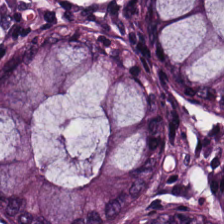Stain: H&E.
Preparation: formalin-fixed paraffin-embedded section.
Tissue type: benign colonic mucosa.
